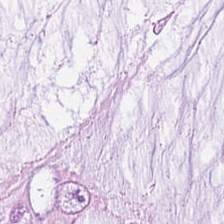Hematoxylin-and-eosin stained section. 224×224 px tile.
Q: Classify this patch.
A: Mucus.
